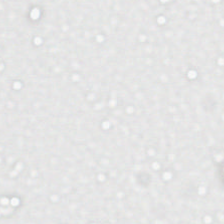Content — background (no tissue).
